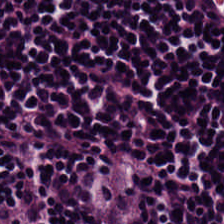0.5 µm per pixel. Hematoxylin-and-eosin stained section. 224×224 pixel tile.
This patch shows lymphocytes.
